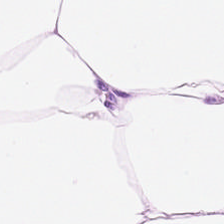The predominant tissue is adipocytes.
